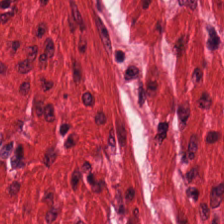Hematoxylin and eosin; brightfield microscopy.
Classification — smooth-muscle tissue.
